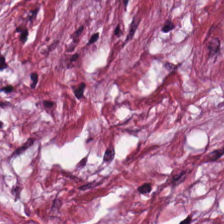Hematoxylin-and-eosin stained section. FFPE.
The tissue type is desmoplastic stroma.
